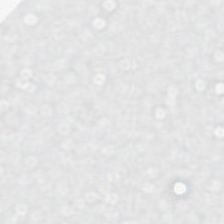Stain: hematoxylin and eosin.
Tile size: 224×224 px tile.
Preparation: FFPE.
Content: empty background.
